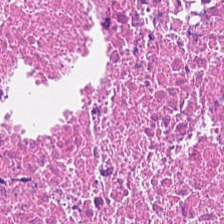Brightfield microscopy; hematoxylin-and-eosin stained section — Classification — debris.
